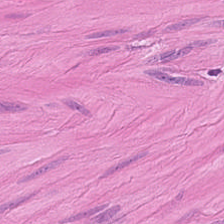H&E stain — Predominantly muscularis.
